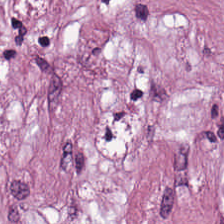H&E-stained tissue section — Q: What tissue is shown?
A: This is desmoplastic stroma.
